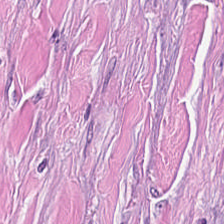H&E-stained tissue section; 224×224 pixel tile.
{"tissue_type": "tumor-associated stroma"}
